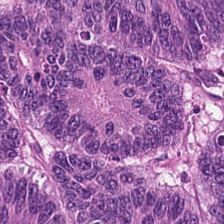0.5 µm/px. Brightfield. H&E stain.
The predominant tissue is adenocarcinoma.
